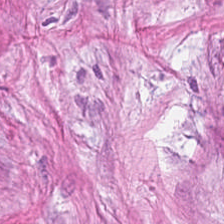H&E stain.
{"tissue_type": "tumor stroma"}
